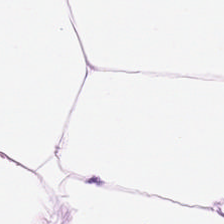Hematoxylin-and-eosin stained section.
The predominant tissue is adipose.
